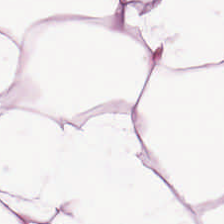Brightfield; formalin-fixed paraffin-embedded section; H&E-stained tissue section. Predominantly adipose tissue.
